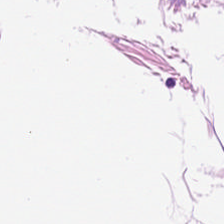Hematoxylin and eosin. Finding → fat tissue.
